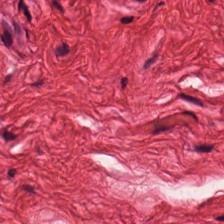Stain: H&E.
Tile size: 224×224 px tile.
Tissue class: muscularis.
